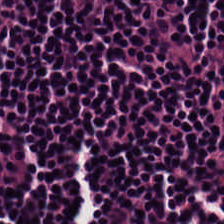FFPE. 0.5 µm per pixel. Hematoxylin and eosin. The tissue class is lymphoid infiltrate.
